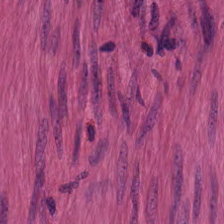Stain: hematoxylin and eosin.
Classification: smooth-muscle tissue.
